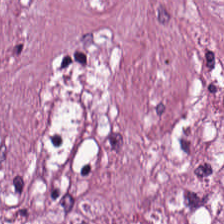Brightfield microscopy · H&E-stained tissue section — Tissue: cancer-associated stroma.
